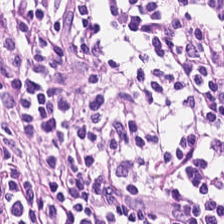H&E · brightfield microscopy — The tissue here is lymphocytes.
